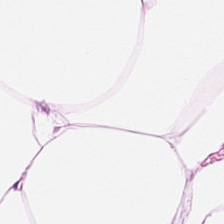Hematoxylin-and-eosin stained section.
The predominant tissue is adipocytes.
